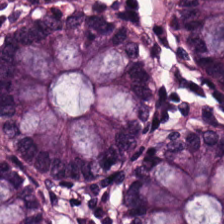Hematoxylin and eosin.
Tissue type = normal colonic mucosa.
